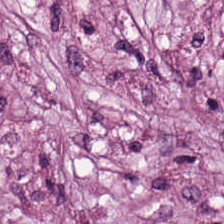Stain: hematoxylin and eosin.
Preparation: FFPE tissue section.
Resolution: 0.5 microns per pixel.
Tissue: cancer-associated stroma.
